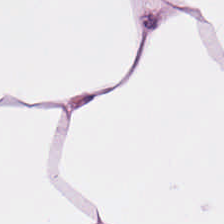Formalin-fixed paraffin-embedded section; H&E stain — Q: What is shown in this field?
A: Fat tissue.
